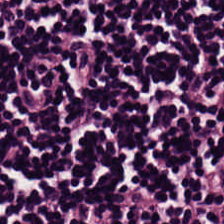Tissue class: lymphoid infiltrate.
